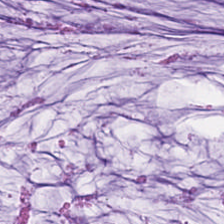Brightfield · H&E stain — Q: What does this patch show?
A: The field shows extracellular mucin.
